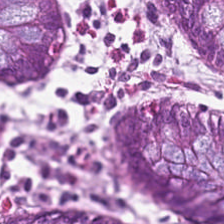H&E-stained tissue section. Impression → benign colonic mucosa.
